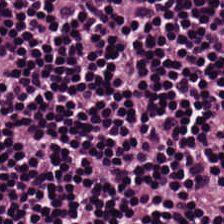H&E stain. Predominantly lymphoid infiltrate.
